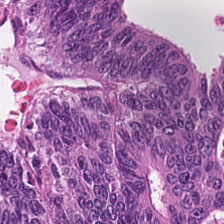Hematoxylin and eosin — Predominantly tumor epithelium.
